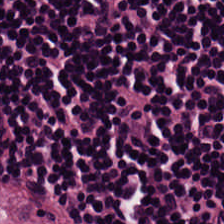H&E-stained section; the field shows lymphocytic infiltrate.
